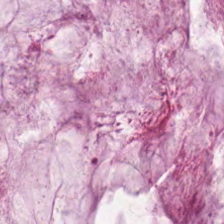Q: What is shown here?
A: Extracellular mucin.
